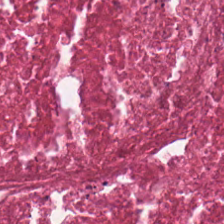H&E. The tissue here is cellular debris.
